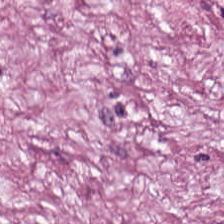H&E stain. Brightfield.
Showing tumor-associated stroma.
